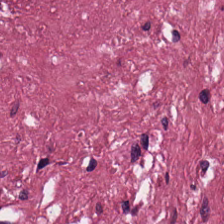Hematoxylin and eosin; 20× equivalent magnification. Histology — desmoplastic stroma.
